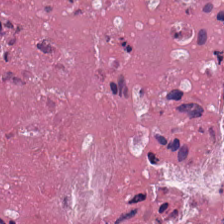20× equivalent magnification; hematoxylin and eosin; 224×224 px tile.
Q: What tissue is shown?
A: The field shows necrotic debris.
